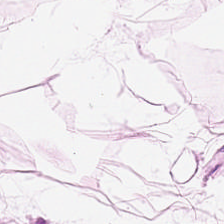Stain: H&E-stained tissue section.
Tissue: adipose tissue.
